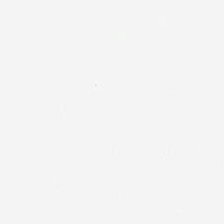Hematoxylin and eosin · 224×224 pixel tile · 0.5 µm per pixel.
Empty field — no tissue.
